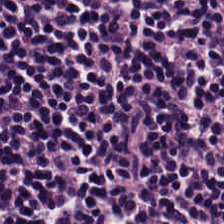Hematoxylin-and-eosin stained section.
Classification — lymphocytes.
